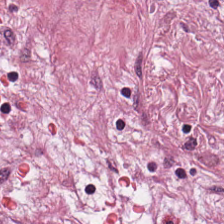Predominant tissue — tumor stroma.
